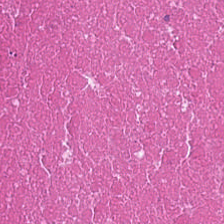Stain: H&E stain.
Preparation: FFPE.
Tissue type: debris.
